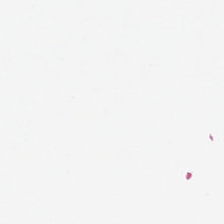Hematoxylin-and-eosin stained section. The classification is no tissue.
